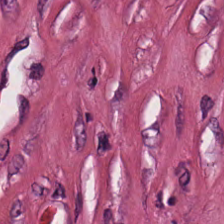Brightfield microscopy; 0.5 µm per pixel; H&E.
{"tissue_type": "tumor-associated stroma"}
